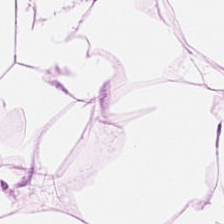WSI patch. Hematoxylin and eosin. {"tissue_type": "adipose tissue"}
